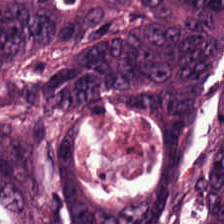H&E stain. FFPE. Predominantly adenocarcinoma.
